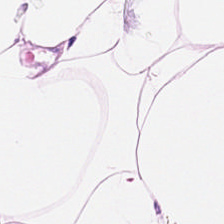Hematoxylin-and-eosin stained section; formalin-fixed paraffin-embedded section. Showing fat tissue.
